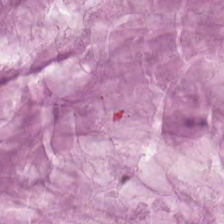224×224 px patch · H&E · 20× equivalent magnification. The tissue class is mucus.
